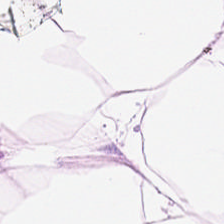H&E patch showing fat tissue.
